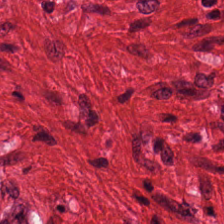H&E · FFPE tissue section · 224×224 px patch — Classification = muscularis.
